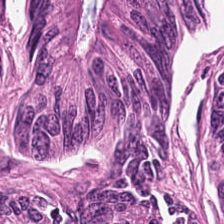H&E · 224×224 px tile · WSI patch. Predominant tissue: tumor epithelium.
